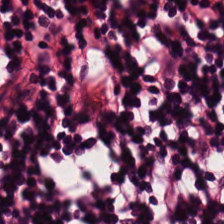Histology — lymphocyte aggregate.
